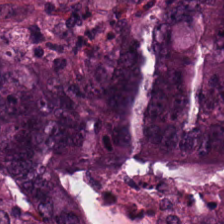Brightfield microscopy · hematoxylin and eosin — Showing tumor epithelium.
